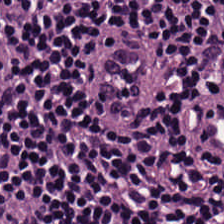Hematoxylin-and-eosin stained section — Classification — lymphocytes.
